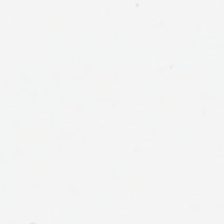Content = no tissue.
